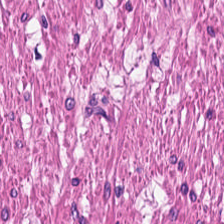H&E-stained section; the field shows smooth muscle.
